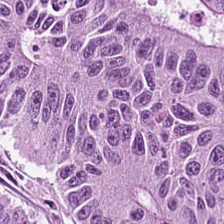Hematoxylin-and-eosin stained section. Showing malignant epithelium.
